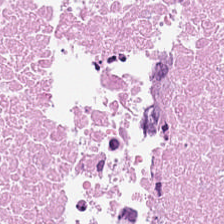H&E-stained tissue section.
Predominant tissue: necrotic debris.
